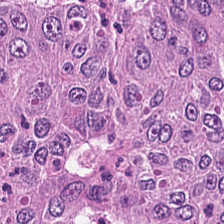H&E · 224×224 px patch · whole-slide-image patch. {"tissue_type": "tumor epithelium"}
